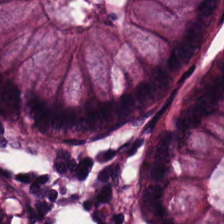0.5 µm per pixel; H&E-stained tissue section.
Predominant tissue — non-neoplastic colon mucosa.
